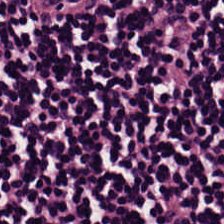H&E stain.
The classification is lymphocytes.
